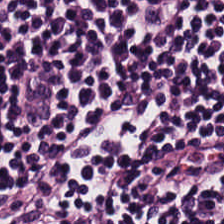H&E-stained tissue section.
{"tissue_type": "lymphocyte aggregate"}
